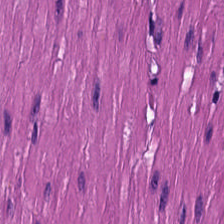Stain: H&E-stained tissue section.
Tile size: 224×224 pixel tile.
Acquisition: brightfield microscopy.
Tissue class: muscularis.
